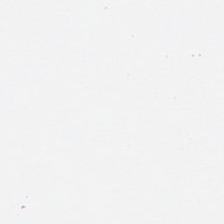H&E-stained tissue section.
Empty field — background (no tissue).
